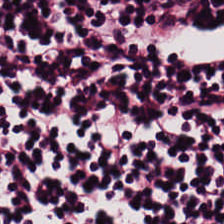Showing lymphoid infiltrate.
